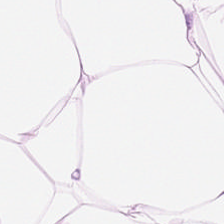Stain: H&E.
Predominant tissue: adipose tissue.
